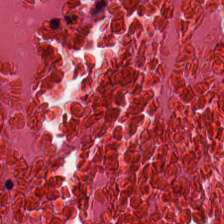H&E stain.
Finding → debris.
